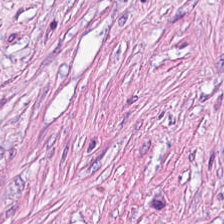Tissue = desmoplastic stroma.
